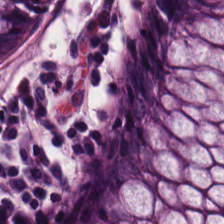Formalin-fixed paraffin-embedded section · hematoxylin-and-eosin stained section. Predominantly benign colonic mucosa.
